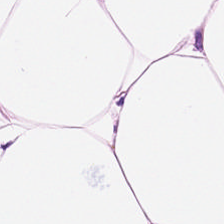H&E stain. Tissue type = fat tissue.
